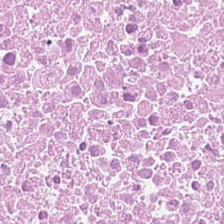Stain: H&E.
Predominant tissue: necrotic debris.
